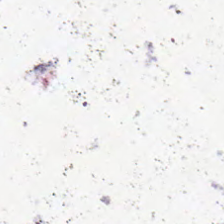Hematoxylin-and-eosin stained section.
{"content": "background"}
